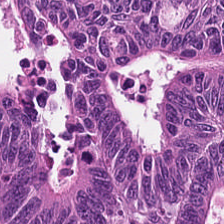H&E stain. Predominantly colorectal adenocarcinoma.
